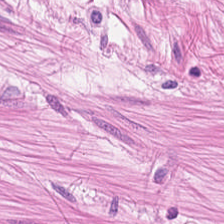Showing muscularis.
